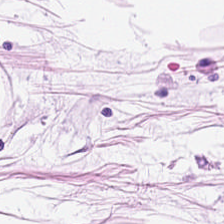FFPE tissue section · brightfield microscopy · hematoxylin and eosin. Classification: adipose tissue.
